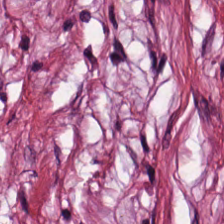Q: What is shown in this field?
A: The field shows cancer-associated stroma.
